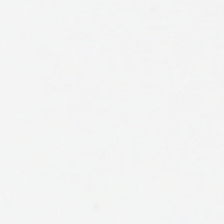Hematoxylin-and-eosin stained section.
Q: What is shown here?
A: This is background.
